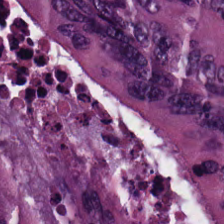Stain: H&E stain.
Tile size: 224×224 pixel tile.
Acquisition: WSI patch.
Tissue class: colorectal adenocarcinoma.
